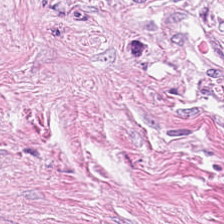224×224 px patch; H&E stain. Tissue: tumor stroma.
